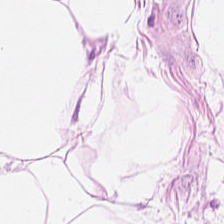Hematoxylin-and-eosin stained section. Adipocytes.
